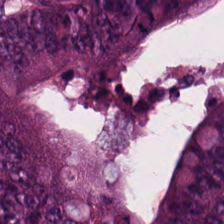224×224 px tile. Formalin-fixed paraffin-embedded section. Hematoxylin and eosin — {"tissue_type": "adenocarcinoma"}
